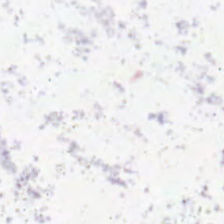Brightfield · FFPE tissue section · hematoxylin-and-eosin stained section. {"content": "empty background"}
